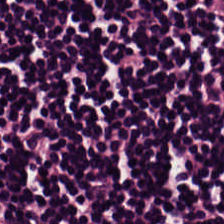Tissue = lymphocytes.
